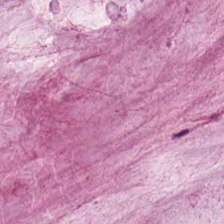Brightfield; 224×224 pixel tile; H&E-stained tissue section.
Predominantly mucin.
